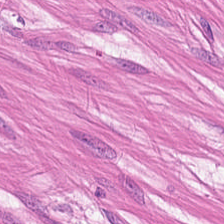H&E · 224×224 pixel tile · whole-slide-image patch.
{"tissue_type": "smooth muscle"}
